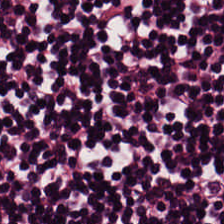FFPE · H&E.
{"tissue_type": "lymphocyte aggregate"}
